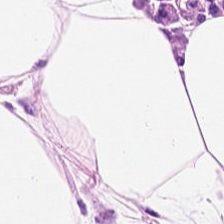224×224 px patch. Hematoxylin-and-eosin stained section — Tissue class: adipocytes.
